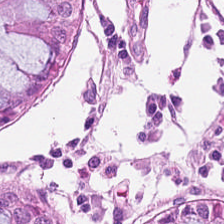Stain: H&E-stained tissue section.
Tissue class: normal colonic mucosa.
